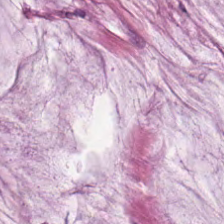Hematoxylin and eosin; 0.5 µm/px — {"tissue_type": "extracellular mucin"}
